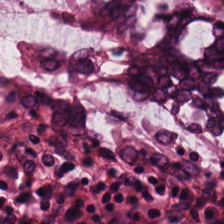Hematoxylin-and-eosin stained section. Impression — normal colonic mucosa.
